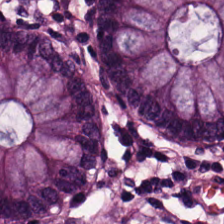Hematoxylin-and-eosin stained section · 224×224 pixel tile · whole-slide-image patch. The predominant tissue is non-neoplastic colon mucosa.
